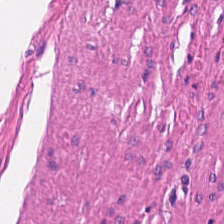H&E-stained tissue section. {"tissue_type": "smooth muscle"}
